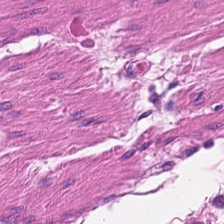H&E-stained tissue section. This patch shows muscularis.
